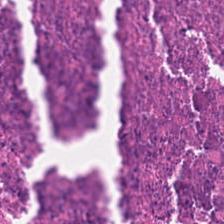224×224 px patch · H&E · 0.5 microns per pixel. Classification = necrotic debris.
